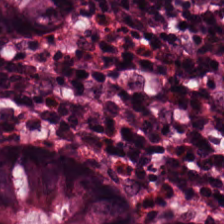224×224 px tile; H&E-stained tissue section — Tissue: normal colon mucosa.
